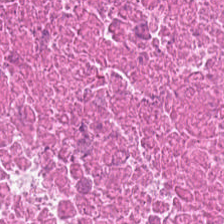Stain: H&E-stained tissue section.
Resolution: 20× equivalent magnification.
Acquisition: brightfield microscopy.
Predominant tissue: debris.
